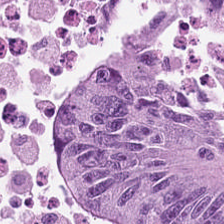224×224 px patch; H&E-stained tissue section; 0.5 µm/px.
The tissue here is colorectal adenocarcinoma.
